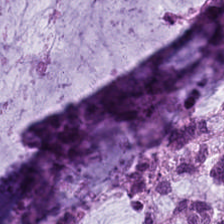Hematoxylin-and-eosin stained section. Q: What type of tissue is this?
A: This is extracellular mucin.
